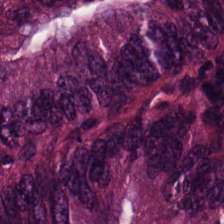H&E-stained tissue section.
Q: What is the predominant tissue type?
A: It is colorectal adenocarcinoma.
